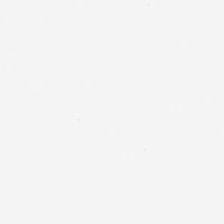H&E — Field content: no tissue.
